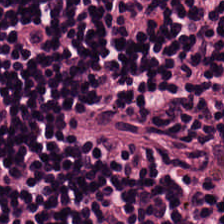Q: What is shown in this field?
A: This is lymphocytes.
